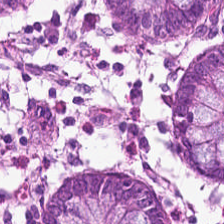224×224 pixel tile. H&E stain. Q: What tissue is shown?
A: The field shows normal colonic mucosa.
